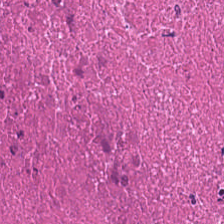Hematoxylin-and-eosin stained section. FFPE — Impression → necrotic debris.
